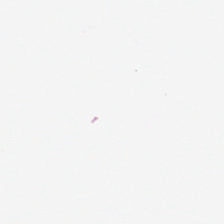H&E-stained tissue section — Q: What is shown here?
A: This is no tissue.
